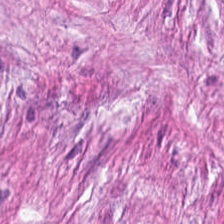0.5 µm/px; hematoxylin and eosin — The tissue class is tumor stroma.
